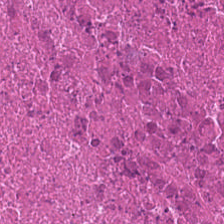Predominantly cellular debris.
